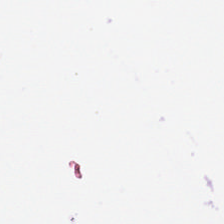H&E-stained tissue section. 0.5 µm/px. The content is no tissue.
